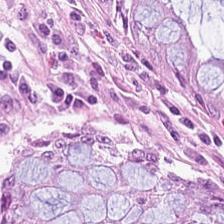224×224 px patch; hematoxylin-and-eosin stained section; FFPE. Showing normal colon mucosa.
